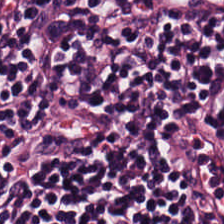Stain: hematoxylin-and-eosin stained section.
Preparation: FFPE tissue section.
Tissue: lymphoid infiltrate.
